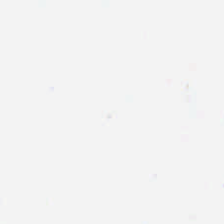0.5 µm/px; hematoxylin-and-eosin stained section. This patch shows no tissue.
